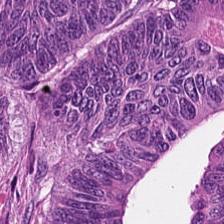FFPE; H&E-stained tissue section. Tumor epithelium.
